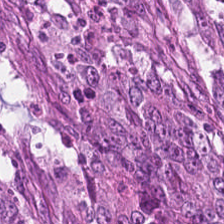Showing malignant epithelium.
